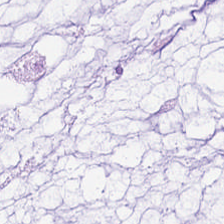H&E stain · brightfield microscopy — Predominant tissue: extracellular mucin.
